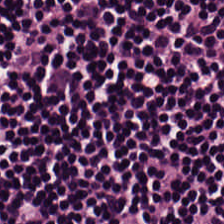Lymphoid infiltrate.
